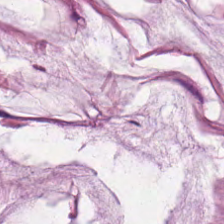Hematoxylin and eosin.
Tissue type — mucus.
